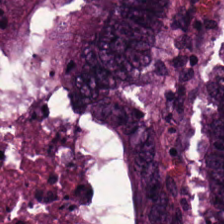Stain: hematoxylin-and-eosin stained section.
Tile size: 224×224 px tile.
Acquisition: WSI patch.
Tissue class: colorectal adenocarcinoma epithelium.
